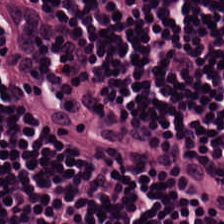Hematoxylin-and-eosin stained section; 224×224 px patch. Q: What tissue is shown?
A: Lymphocytes.
